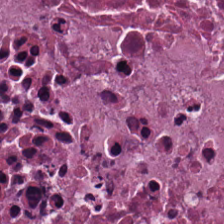H&E-stained tissue section; 224×224 px patch.
Classification = debris.
